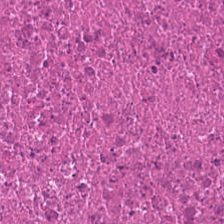H&E stain.
The predominant tissue is cellular debris.
